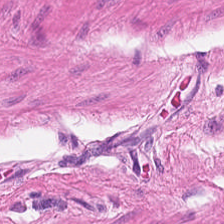The classification is smooth-muscle tissue.
